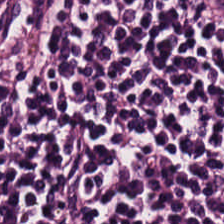Q: What is the predominant tissue type?
A: This is lymphocytes.
